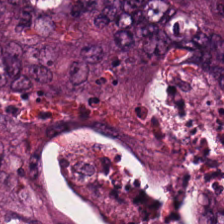Malignant epithelium.
